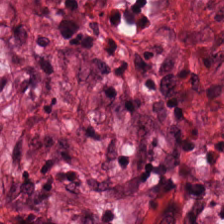H&E stain. 224×224 pixel tile. Brightfield — Q: What is shown here?
A: Desmoplastic stroma.
